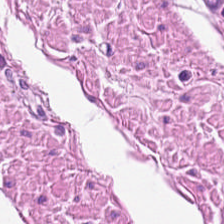Formalin-fixed paraffin-embedded section; whole-slide-image patch; hematoxylin-and-eosin stained section — This patch shows smooth muscle.
